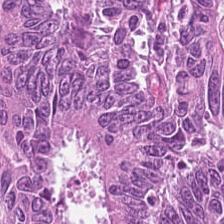FFPE tissue section; H&E stain — Predominantly malignant epithelium.
